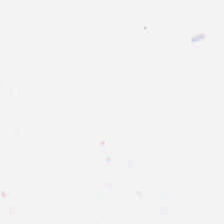H&E.
No tissue present; background only.
